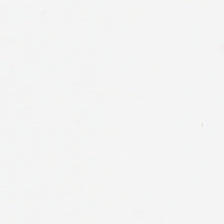20× equivalent magnification · WSI patch · hematoxylin and eosin. This field is background (no tissue).
